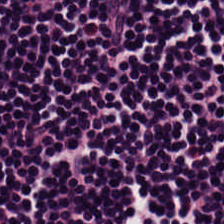Hematoxylin and eosin.
This field is lymphocyte aggregate.
